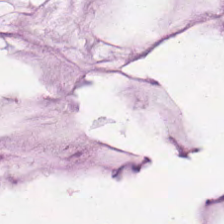Hematoxylin-and-eosin stained section.
This field is mucin.
